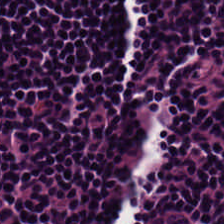H&E-stained tissue section; 0.5 µm per pixel.
The tissue class is lymphocytes.
